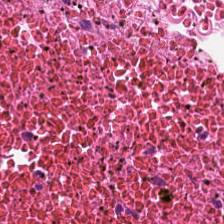Tissue class — cellular debris.
